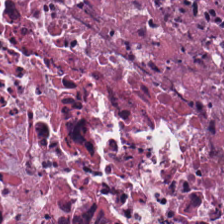H&E stain.
Classification — debris.
